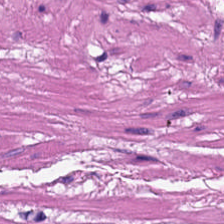Formalin-fixed paraffin-embedded section; H&E-stained tissue section; WSI patch.
Impression → smooth-muscle tissue.
